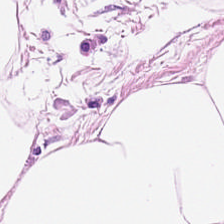The predominant tissue is adipose.
